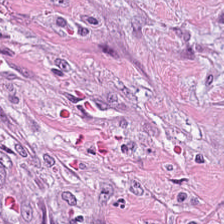The classification is tumor-associated stroma.
